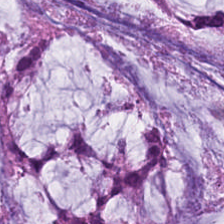H&E-stained tissue section. Predominantly mucus.
